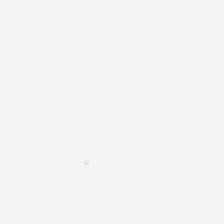224×224 px tile. H&E-stained tissue section.
Histology — empty background.
